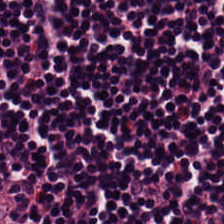0.5 µm/px · brightfield microscopy · H&E-stained tissue section.
Tissue class: lymphocytic infiltrate.
